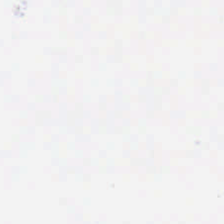224×224 px tile; H&E stain.
Q: What is shown in this field?
A: The field shows empty background.
